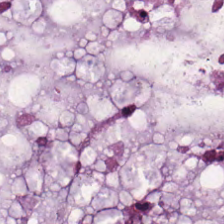Stain: H&E stain.
Classification: extracellular mucin.
